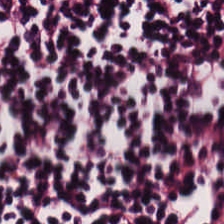H&E stain.
Q: What tissue is shown?
A: Lymphocytic infiltrate.
